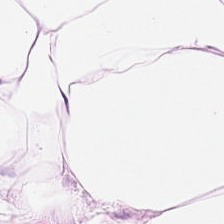The tissue is adipose tissue.
